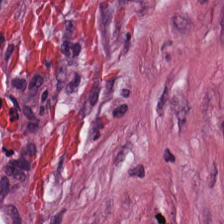The tissue here is tumor stroma.
